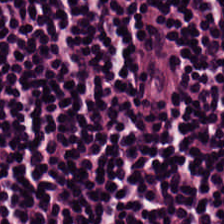Formalin-fixed paraffin-embedded section · whole-slide-image patch · H&E-stained tissue section — The predominant tissue is lymphoid infiltrate.
